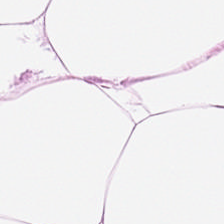224×224 px patch · H&E stain · brightfield. Q: Identify the tissue.
A: The field shows adipocytes.
